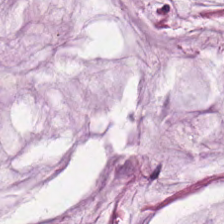Hematoxylin and eosin.
Showing mucus.
